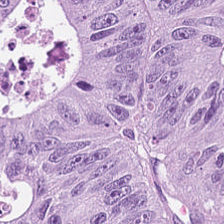H&E stain; 0.5 µm per pixel — Adenocarcinoma.
